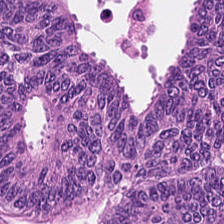Brightfield. Hematoxylin and eosin. Adenocarcinoma.
